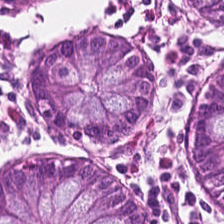Whole-slide-image patch; hematoxylin and eosin; FFPE.
Impression — non-neoplastic colon mucosa.
